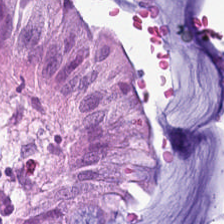Hematoxylin-and-eosin stained section — The predominant tissue is normal colon mucosa.
